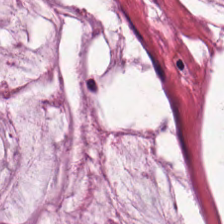Predominant tissue — extracellular mucin.
